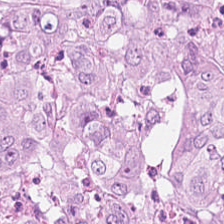Hematoxylin-and-eosin stained section — Predominant tissue: colorectal adenocarcinoma epithelium.
